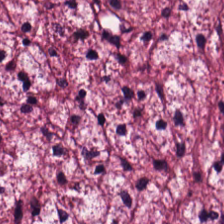H&E.
Q: Classify this patch.
A: Desmoplastic stroma.
